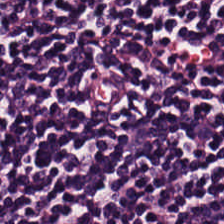H&E · 224×224 px patch. Q: What is shown in this field?
A: Lymphocytes.
